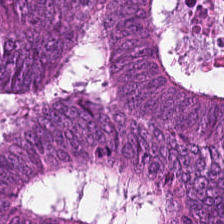Stain: hematoxylin-and-eosin stained section.
Tissue class: colorectal adenocarcinoma.
